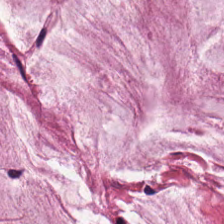0.5 µm per pixel. Formalin-fixed paraffin-embedded section. H&E-stained tissue section — Q: What is shown in this field?
A: It is mucin.
